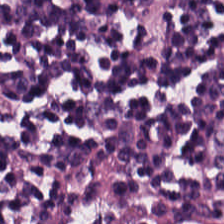H&E-stained tissue section showing lymphocytes.
